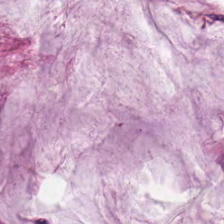Hematoxylin-and-eosin stained section — Tissue type = mucus.
